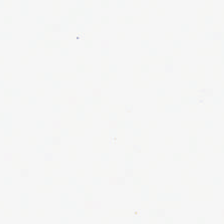H&E-stained tissue section.
Classification: background (no tissue).
